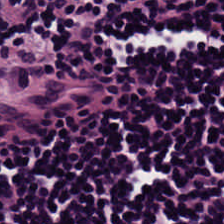Hematoxylin and eosin · 0.5 microns per pixel · 224×224 pixel tile. Predominantly lymphocytic infiltrate.
